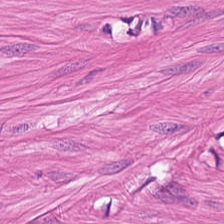224×224 px patch · FFPE tissue section · H&E stain.
Classification — muscularis.
